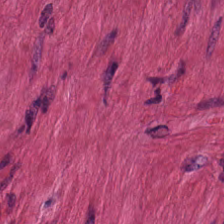Predominant tissue = smooth muscle.
